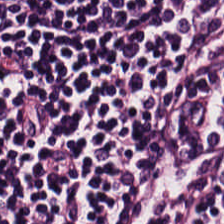Hematoxylin and eosin.
Showing lymphocyte aggregate.
